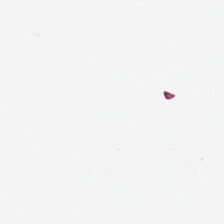FFPE. Hematoxylin-and-eosin stained section — Classification = no tissue.
